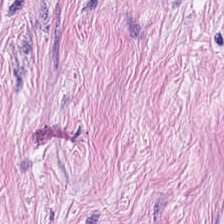0.5 µm/px. 224×224 px patch. H&E — Impression → tumor-associated stroma.
